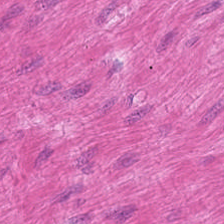Stain: H&E.
Resolution: 0.5 µm/px.
Predominant tissue: smooth-muscle tissue.
